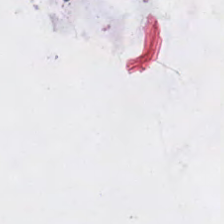224×224 px patch. Whole-slide-image patch. Hematoxylin and eosin. This field is background (no tissue).
